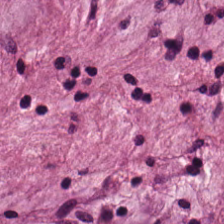H&E — mucus.
